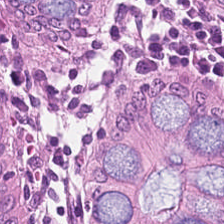Hematoxylin and eosin. 20× equivalent magnification. 224×224 pixel tile.
Finding — non-neoplastic colon mucosa.
